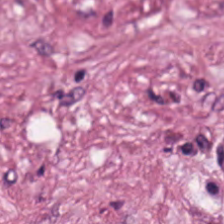FFPE tissue section · hematoxylin and eosin — Tissue class: cancer-associated stroma.
